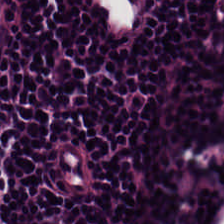224×224 px tile; formalin-fixed paraffin-embedded section; hematoxylin and eosin — This patch shows lymphocyte aggregate.
